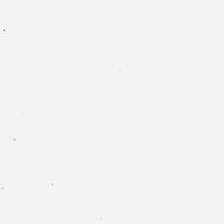Brightfield. Hematoxylin-and-eosin stained section. Q: Classify this patch.
A: The field shows empty background.
